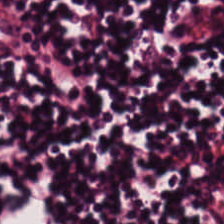H&E. Tissue class — lymphoid infiltrate.
